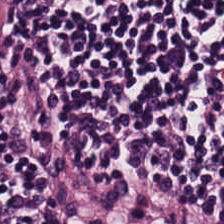H&E stain.
Predominant tissue — lymphocytic infiltrate.
